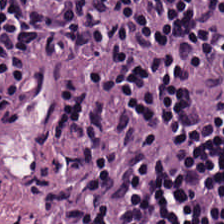Tissue type: lymphocytes.
